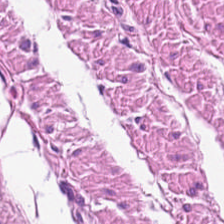Hematoxylin-and-eosin stained section.
Smooth-muscle tissue.
